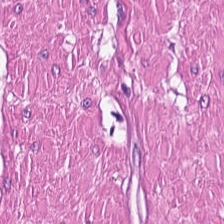H&E.
Q: What is shown in this field?
A: The field shows muscularis.
